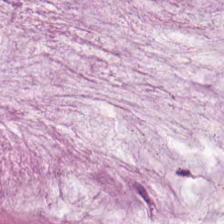20× equivalent magnification; FFPE tissue section; H&E-stained tissue section.
Mucus.
